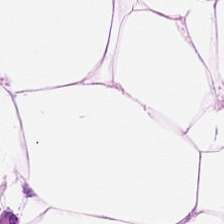FFPE. H&E-stained tissue section. This field is adipose tissue.
